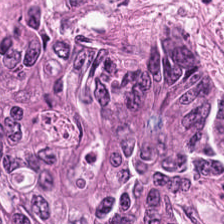Formalin-fixed paraffin-embedded section; hematoxylin and eosin.
Impression → colorectal adenocarcinoma epithelium.
